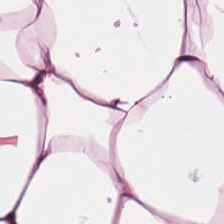H&E. Formalin-fixed paraffin-embedded section — Adipose tissue.
